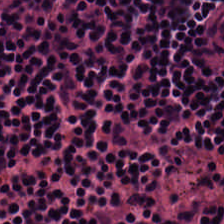H&E-stained tissue section. Predominantly lymphocytic infiltrate.
